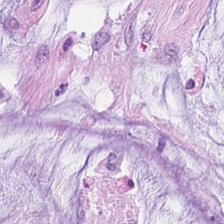H&E · 224×224 px tile.
Predominantly mucus.
